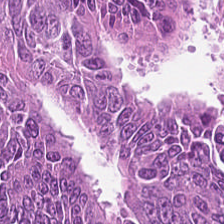H&E stain; brightfield; formalin-fixed paraffin-embedded section.
{"tissue_type": "colorectal adenocarcinoma"}
